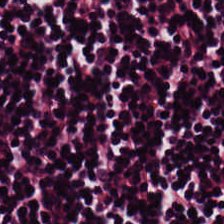The tissue type is lymphoid infiltrate.
